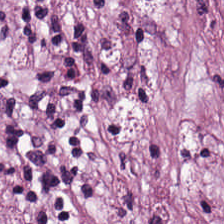Stain: H&E.
Acquisition: whole-slide-image patch.
Resolution: 0.5 microns per pixel.
Classification: desmoplastic stroma.
